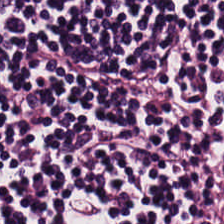FFPE tissue section. H&E — Q: What tissue is shown?
A: Lymphocytic infiltrate.
